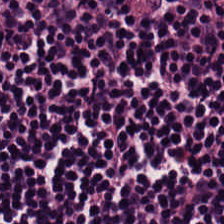H&E — Q: Classify this patch.
A: It is lymphocytes.
